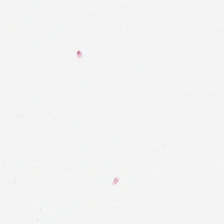Formalin-fixed paraffin-embedded section; H&E-stained tissue section. This patch shows no tissue.
